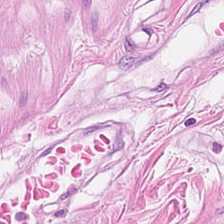The tissue type is smooth-muscle tissue.
